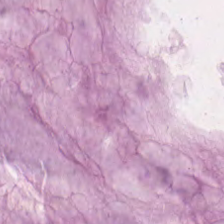H&E-stained tissue section. Tissue type = extracellular mucin.
